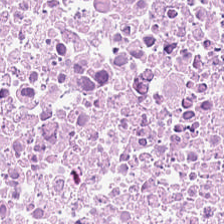The predominant tissue is necrotic debris.
